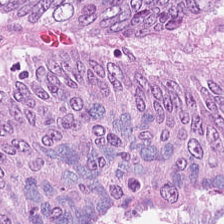H&E-stained tissue section. Q: What is the predominant tissue type?
A: It is adenocarcinoma.
